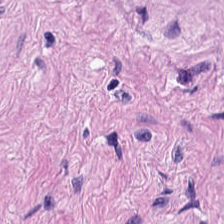This patch shows muscularis.
